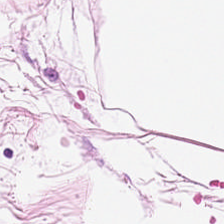H&E-stained tissue section.
The tissue is adipocytes.
